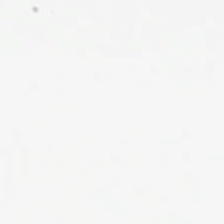H&E-stained tissue section — The classification is background (no tissue).
